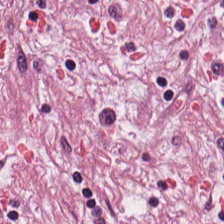H&E-stained tissue section.
The tissue is cancer-associated stroma.
